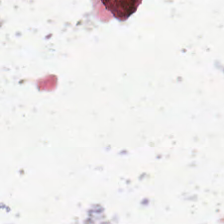Q: What does this patch show?
A: Empty background.
